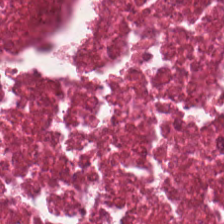H&E. Formalin-fixed paraffin-embedded section. 224×224 pixel tile.
Predominant tissue — necrotic debris.
